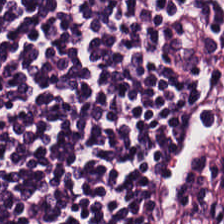H&E stain. The predominant tissue is lymphoid infiltrate.
